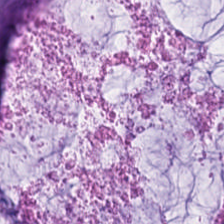Stain: hematoxylin and eosin.
Tile size: 224×224 px tile.
Resolution: 0.5 microns per pixel.
Classification: extracellular mucin.
